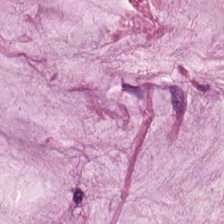Stain: H&E.
Tissue type: extracellular mucin.
